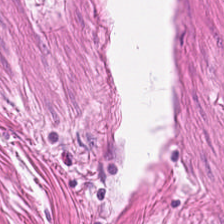Stain: H&E.
Tissue: smooth muscle.
